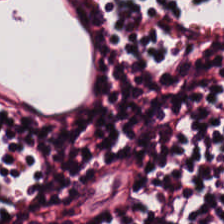Stain: H&E stain.
Tissue class: lymphocyte aggregate.
